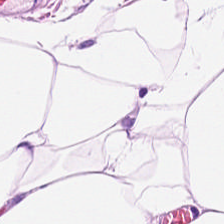Stain: H&E stain.
Tile size: 224×224 px tile.
Tissue class: adipose.
